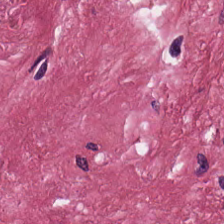H&E stain — Cancer-associated stroma.
